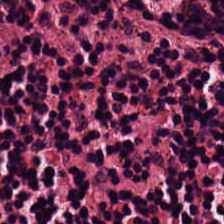Q: What is the predominant tissue type?
A: The field shows lymphocytic infiltrate.
